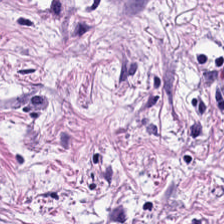{"tissue_type": "tumor stroma"}
